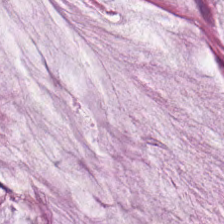H&E-stained tissue section.
This field is mucin.
